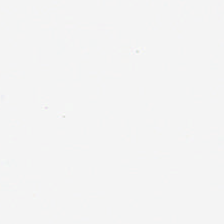Hematoxylin-and-eosin stained section.
Field content: no tissue.
